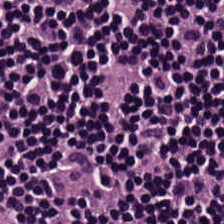H&E-stained tissue section; 20× equivalent magnification. Predominant tissue — lymphocytes.
